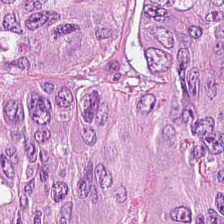Hematoxylin and eosin. Classification = adenocarcinoma.
